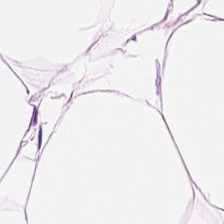Formalin-fixed paraffin-embedded section. 0.5 microns per pixel. H&E stain. The predominant tissue is fat tissue.
